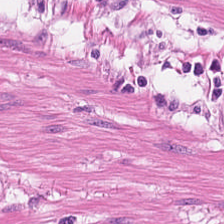H&E. Q: Identify the tissue.
A: This is smooth-muscle tissue.
